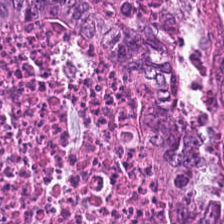224×224 px tile. H&E stain.
Showing colorectal adenocarcinoma.
